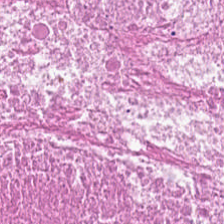H&E stain. Finding → debris.
